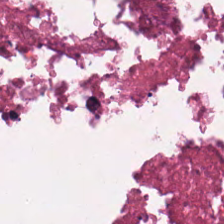H&E stain — Q: What tissue is shown?
A: It is debris.
